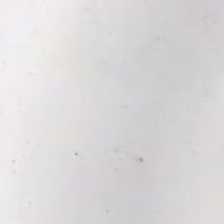H&E stain.
Content = no tissue.
